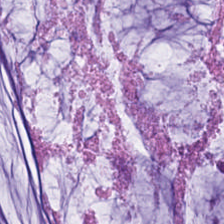224×224 px patch; H&E-stained tissue section; brightfield microscopy — Tissue class: mucin.
